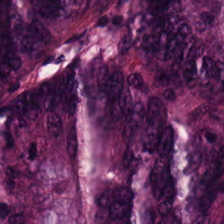H&E. FFPE — Predominantly malignant epithelium.
